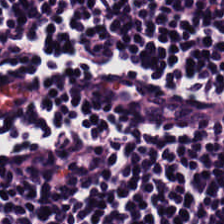Stain: H&E-stained tissue section.
Preparation: FFPE.
Tissue type: lymphoid infiltrate.
